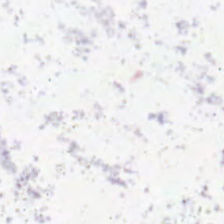Stain: H&E.
Resolution: 0.5 µm per pixel.
Acquisition: brightfield microscopy.
Field content: background.
